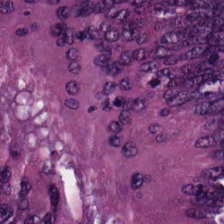Hematoxylin and eosin. This patch shows tumor epithelium.
